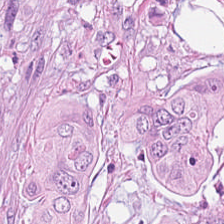H&E. This field is adenocarcinoma.
